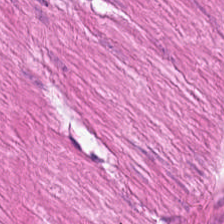Brightfield; hematoxylin-and-eosin stained section — This field is smooth muscle.
